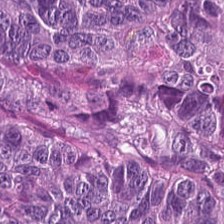Formalin-fixed paraffin-embedded section. H&E stain — This patch shows tumor epithelium.
